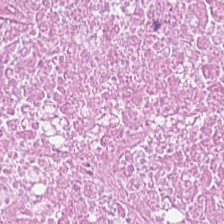224×224 px patch. Hematoxylin and eosin.
The tissue here is cellular debris.
